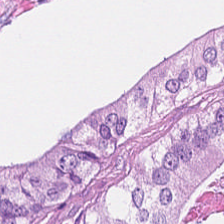224×224 px tile. H&E-stained tissue section. This field is malignant epithelium.
